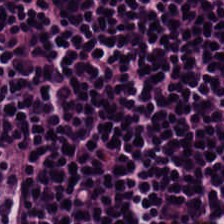Q: Classify this patch.
A: It is lymphoid infiltrate.
